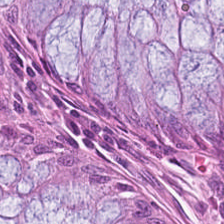Hematoxylin-and-eosin stained section.
Q: What is the predominant tissue type?
A: The field shows non-neoplastic colon mucosa.
